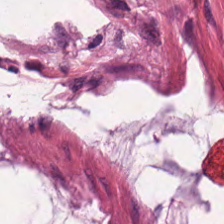Hematoxylin-and-eosin stained section. This field is mucin.
